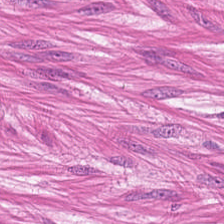H&E stain. Predominantly smooth-muscle tissue.
